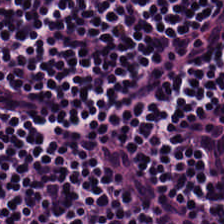The predominant tissue is lymphocytes.
